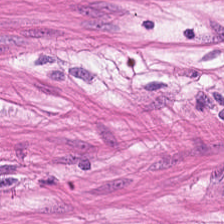H&E stain. Brightfield. Finding — smooth muscle.
